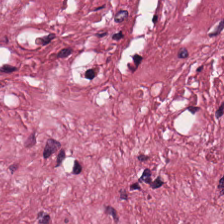Hematoxylin and eosin.
Tissue — tumor-associated stroma.
